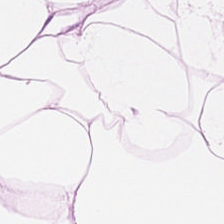Stain: H&E.
Tissue: fat tissue.
